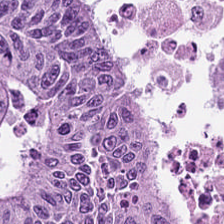Brightfield; hematoxylin-and-eosin stained section — Q: Classify this patch.
A: Adenocarcinoma.
